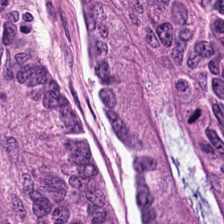H&E stain. Q: What does this patch show?
A: Colorectal adenocarcinoma.
